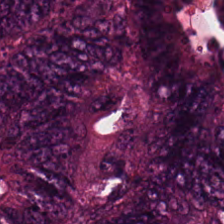0.5 µm per pixel; H&E stain. Tissue class: colorectal adenocarcinoma.
